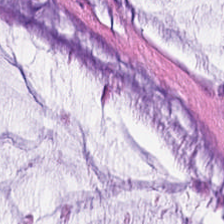H&E — Classification: extracellular mucin.
